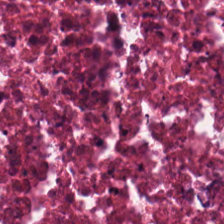Hematoxylin and eosin. Necrotic debris.
